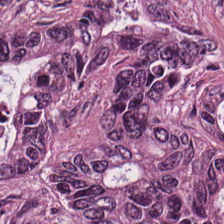This field is adenocarcinoma.
